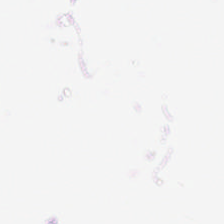224×224 px patch; H&E stain. Empty field — no tissue.
